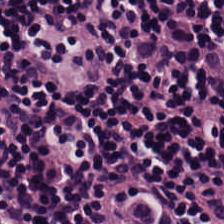Formalin-fixed paraffin-embedded section; hematoxylin-and-eosin stained section; 224×224 px patch — Predominantly lymphocytes.
